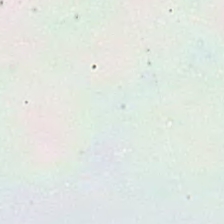H&E stain.
The classification is empty background.
